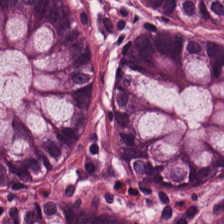H&E stain · 224×224 px tile · brightfield microscopy — The predominant tissue is benign colonic mucosa.
